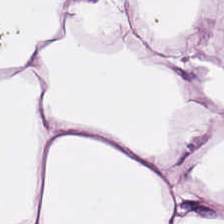Hematoxylin-and-eosin stained section. 0.5 µm per pixel. The tissue here is adipocytes.
